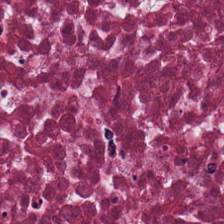FFPE · H&E · 224×224 px tile.
Q: What is the predominant tissue type?
A: This is debris.
